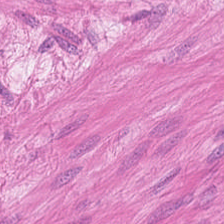H&E-stained tissue section · 0.5 microns per pixel. Q: What type of tissue is this?
A: It is smooth muscle.
